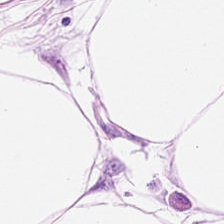Hematoxylin-and-eosin stained section. This field is adipocytes.
